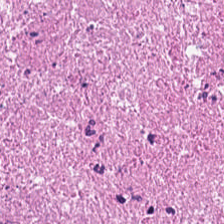224×224 pixel tile · H&E. The tissue is necrotic debris.
